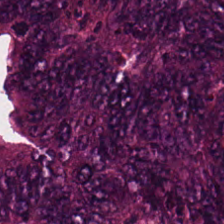H&E. Predominantly colorectal adenocarcinoma epithelium.
